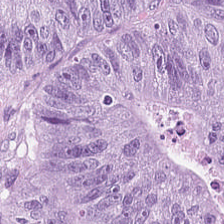This patch shows colorectal adenocarcinoma.
